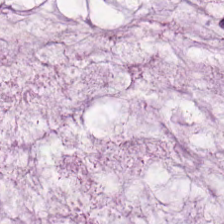H&E-stained tissue section — Predominantly extracellular mucin.
